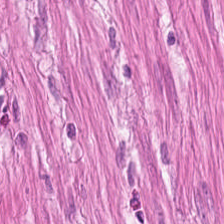H&E. Histology — smooth-muscle tissue.
